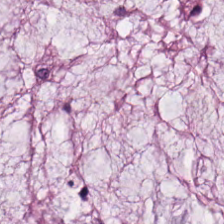Hematoxylin and eosin.
This patch shows extracellular mucin.
